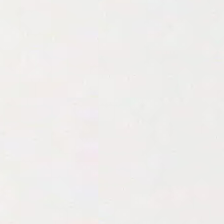Hematoxylin-and-eosin stained section.
The classification is no tissue.
